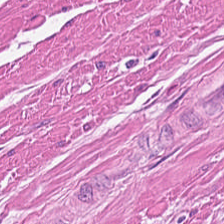WSI patch. H&E. 224×224 px tile.
The predominant tissue is smooth muscle.
